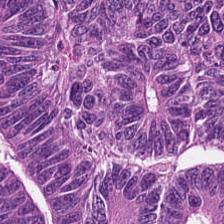Tissue class: colorectal adenocarcinoma epithelium.
